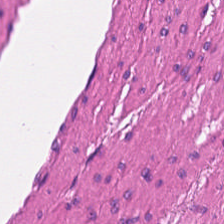Stain: H&E-stained tissue section.
Preparation: formalin-fixed paraffin-embedded section.
Tile size: 224×224 pixel tile.
Tissue type: muscularis.
